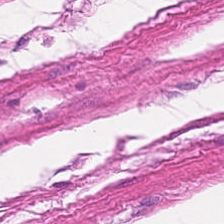H&E stain. 0.5 µm/px. This patch shows muscularis.
